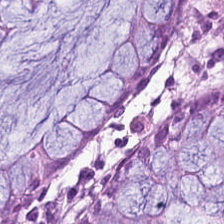Stain: H&E.
Tissue type: non-neoplastic colon mucosa.
